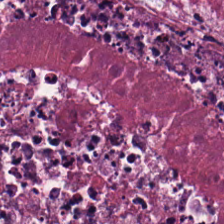H&E-stained tissue section — The predominant tissue is debris.
